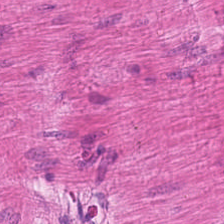Stain: H&E-stained tissue section.
Resolution: 0.5 microns per pixel.
Preparation: FFPE.
Classification: smooth muscle.
